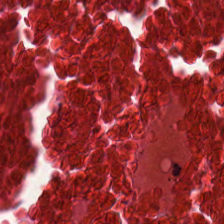Hematoxylin and eosin; FFPE — This patch shows necrotic debris.
